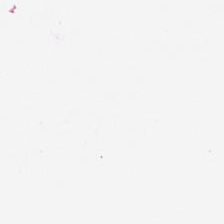No tissue present; background only.
